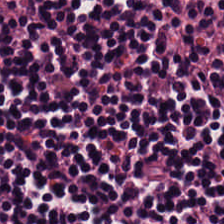Predominant tissue: lymphocytes.
